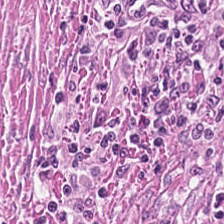Hematoxylin and eosin.
Desmoplastic stroma.
